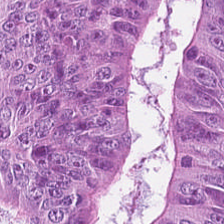Hematoxylin-and-eosin stained section.
Tissue class — tumor epithelium.
